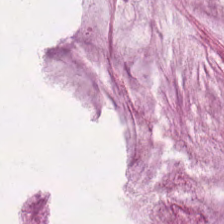H&E-stained tissue section — The classification is mucus.
